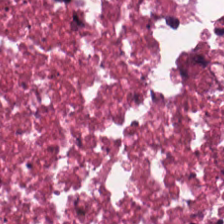Hematoxylin and eosin — Debris.
